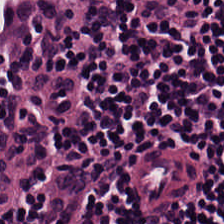H&E; formalin-fixed paraffin-embedded section; 20× equivalent magnification.
Q: What tissue is shown?
A: The field shows lymphocytic infiltrate.
